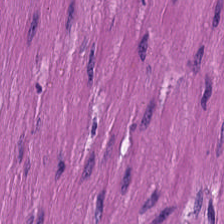Hematoxylin and eosin.
Impression — smooth-muscle tissue.
